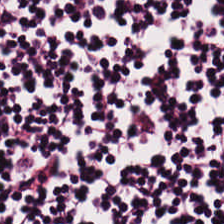H&E stain.
Predominant tissue = lymphocyte aggregate.
